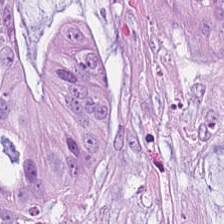Hematoxylin-and-eosin stained section; whole-slide-image patch. Q: What tissue is shown?
A: Extracellular mucin.
